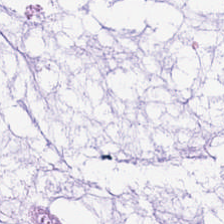H&E stain. Q: What is shown here?
A: Mucus.
